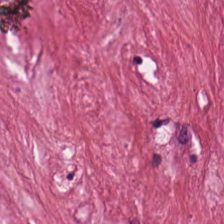Stain: hematoxylin-and-eosin stained section.
Tissue: cancer-associated stroma.
